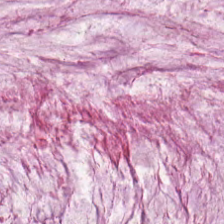Tissue: mucus.
